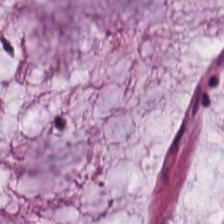H&E-stained section; the field shows mucus.
